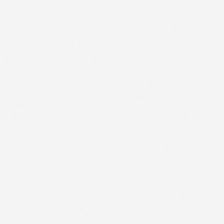Q: What is shown here?
A: The field shows empty background.
